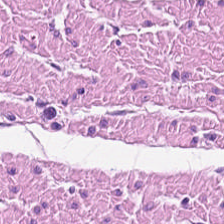224×224 px tile; H&E stain; brightfield microscopy — This patch shows muscularis.
